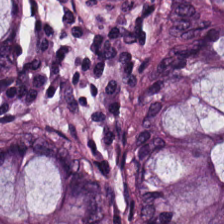H&E-stained tissue section — The predominant tissue is normal colonic mucosa.
